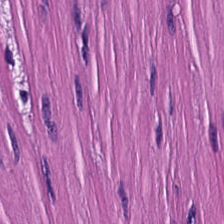FFPE · hematoxylin and eosin. Smooth muscle.
